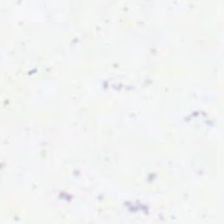H&E stain; FFPE tissue section; brightfield.
Empty field — no tissue.
